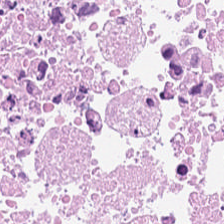Stain: H&E-stained tissue section.
Tissue class: debris.
